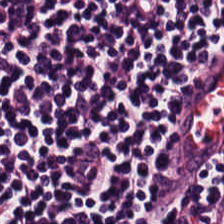Stain: H&E-stained tissue section.
Tissue type: lymphocytic infiltrate.
